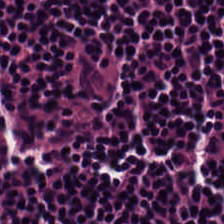The classification is lymphocytic infiltrate.
